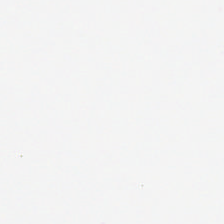224×224 px tile · H&E stain.
This patch shows background (no tissue).
